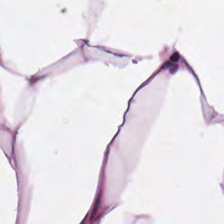H&E-stained tissue section. Classification = adipocytes.
